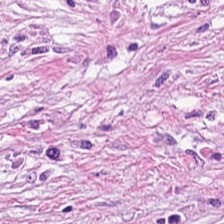0.5 microns per pixel · hematoxylin-and-eosin stained section · brightfield microscopy.
Desmoplastic stroma.
